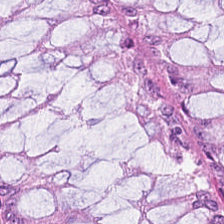H&E — Impression → benign colonic mucosa.
